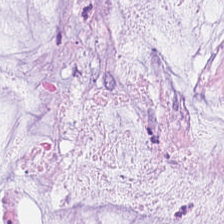{"tissue_type": "extracellular mucin"}
